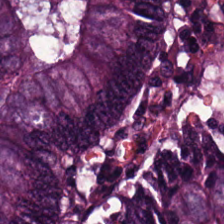H&E-stained tissue section.
The tissue here is colorectal adenocarcinoma.
